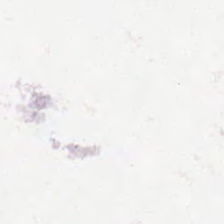20× equivalent magnification · H&E · WSI patch. This patch shows background (no tissue).
